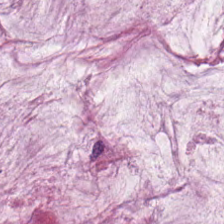Hematoxylin-and-eosin stained section.
Predominantly mucus.
